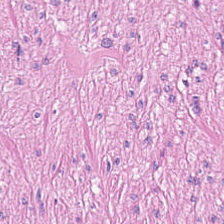Hematoxylin and eosin — Tissue type = muscularis.
